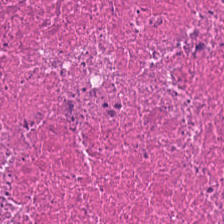Hematoxylin-and-eosin stained section. The tissue here is necrotic debris.
